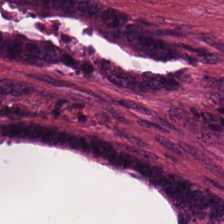Stain: H&E stain.
Tissue class: colorectal adenocarcinoma.
